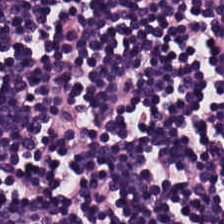WSI patch · hematoxylin and eosin · 224×224 px tile. Tissue class — lymphocytic infiltrate.
